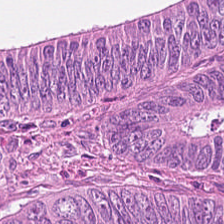Hematoxylin-and-eosin stained section. The predominant tissue is colorectal adenocarcinoma.
